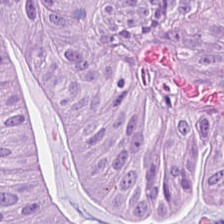Hematoxylin-and-eosin stained section.
Histology → colorectal adenocarcinoma epithelium.
